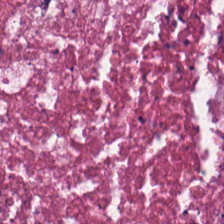H&E — {"tissue_type": "cellular debris"}
